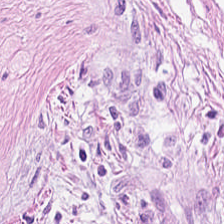FFPE tissue section · H&E stain.
Q: Classify this patch.
A: This is cancer-associated stroma.
